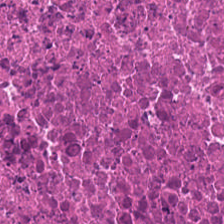H&E-stained tissue section. The tissue class is debris.
